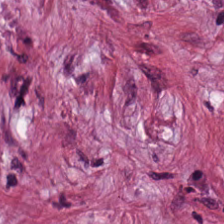Hematoxylin and eosin. Showing tumor stroma.
